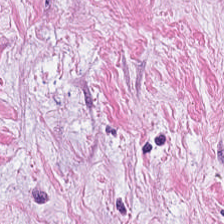H&E stain — Predominantly desmoplastic stroma.
